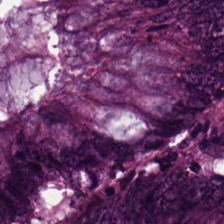Malignant epithelium.
